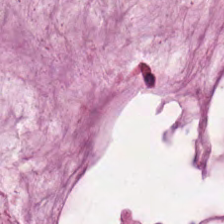H&E-stained section; the field shows mucus.
